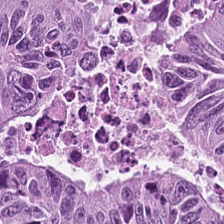Hematoxylin-and-eosin stained section — This field is colorectal adenocarcinoma epithelium.
